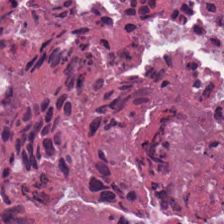224×224 px patch. Hematoxylin and eosin — Tissue type = cellular debris.
